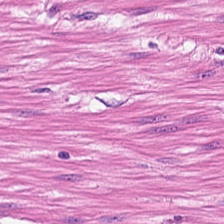H&E-stained tissue section · FFPE — Impression → muscularis.
